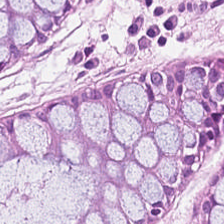The predominant tissue is normal colonic mucosa.
